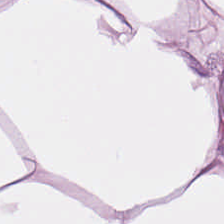H&E-stained tissue section.
Finding → adipose.
